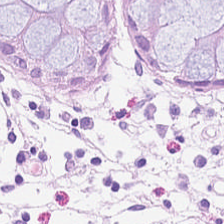Tissue class = benign colonic mucosa.
